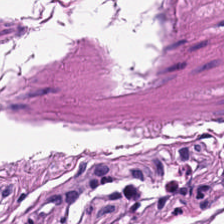The tissue is smooth muscle.
